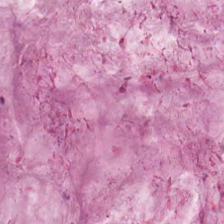Histology → mucin.
